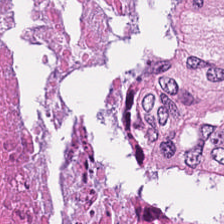H&E-stained tissue section. Whole-slide-image patch — Impression → cellular debris.
